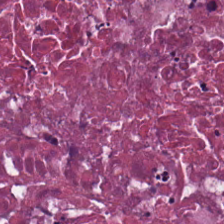FFPE tissue section · H&E stain. The tissue here is cellular debris.
